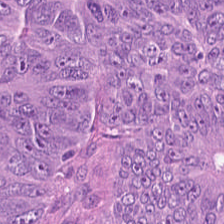H&E-stained tissue section. The tissue here is colorectal adenocarcinoma epithelium.
